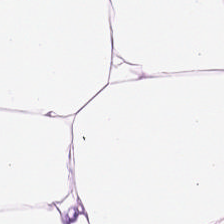Q: What is the predominant tissue type?
A: The field shows adipose.
